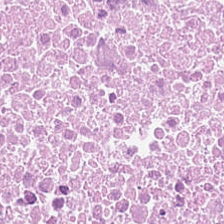H&E stain. 20× equivalent magnification. Classification = cellular debris.
